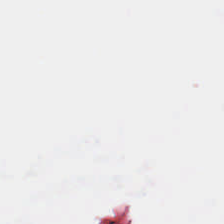Q: What does this patch show?
A: No tissue.
